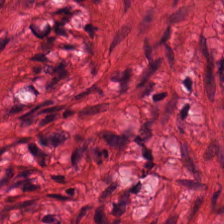H&E stain; FFPE. Predominant tissue: smooth-muscle tissue.
